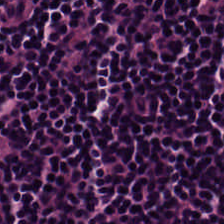Hematoxylin-and-eosin stained section. Predominantly lymphoid infiltrate.
